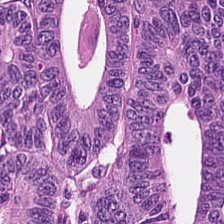H&E-stained tissue section. Histology → malignant epithelium.
